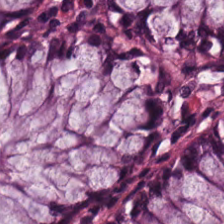Hematoxylin-and-eosin stained section. Tissue class: non-neoplastic colon mucosa.
